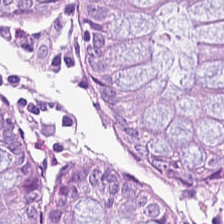WSI patch; 20× equivalent magnification; H&E stain — The predominant tissue is non-neoplastic colon mucosa.
